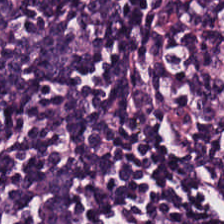Stain: hematoxylin-and-eosin stained section.
Tissue class: lymphocyte aggregate.
